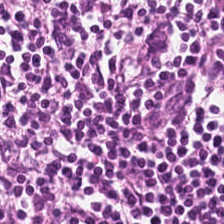Stain: H&E stain.
Tissue: lymphocyte aggregate.
